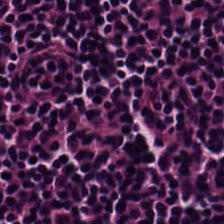Brightfield; hematoxylin-and-eosin stained section — Predominant tissue: lymphocytic infiltrate.
